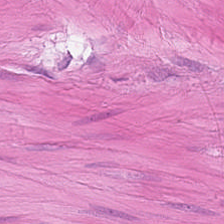Hematoxylin-and-eosin stained section — Tissue type — smooth-muscle tissue.
